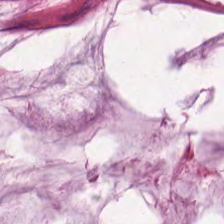H&E stain. Q: What is shown in this field?
A: Extracellular mucin.
